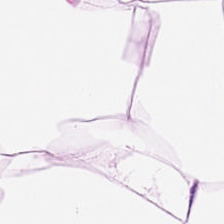FFPE tissue section. Hematoxylin-and-eosin stained section — Adipocytes.
